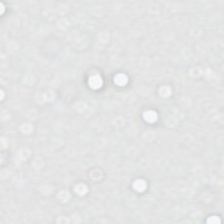Background.
